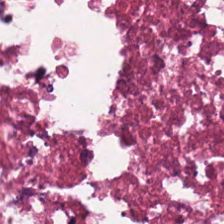Tissue class — necrotic debris.
